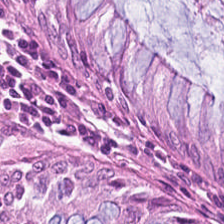H&E-stained tissue section — The tissue here is normal colonic mucosa.
